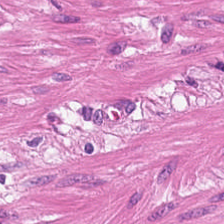224×224 px tile; H&E stain. Q: What is shown here?
A: This is smooth muscle.
